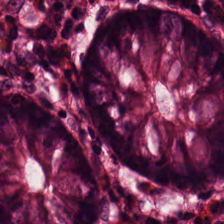224×224 px patch; brightfield; H&E-stained tissue section.
This field is normal colon mucosa.
